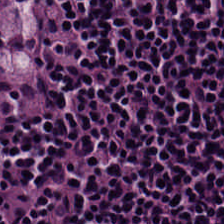WSI patch · H&E stain.
Q: What tissue type is shown here?
A: Lymphocytes.
